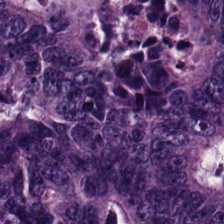This patch shows malignant epithelium.
